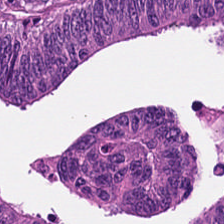H&E-stained tissue section; 0.5 microns per pixel; 224×224 pixel tile.
Q: Classify this patch.
A: The field shows colorectal adenocarcinoma.
